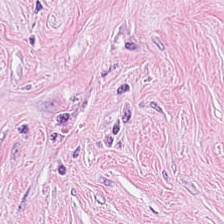H&E-stained tissue section. Q: Classify this patch.
A: The field shows tumor stroma.
